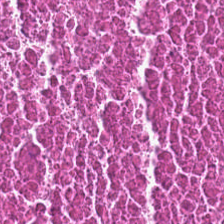Hematoxylin-and-eosin stained section — Tissue type = debris.
